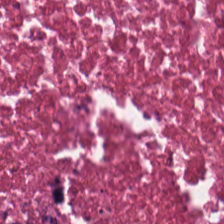Stain: H&E stain.
Tile size: 224×224 pixel tile.
Tissue class: debris.
